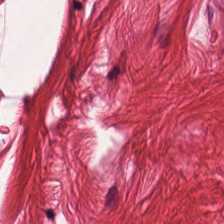H&E; 0.5 µm/px; 224×224 pixel tile. Classification: muscularis.
